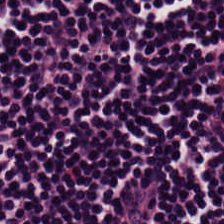H&E · FFPE tissue section. Tissue class = lymphocyte aggregate.
